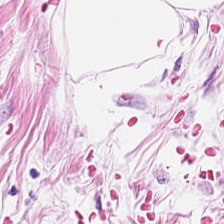WSI patch; H&E-stained tissue section. Q: Identify the tissue.
A: This is adipocytes.
